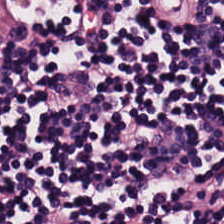H&E-stained tissue section. WSI patch. 0.5 µm per pixel — Tissue class: lymphocyte aggregate.
